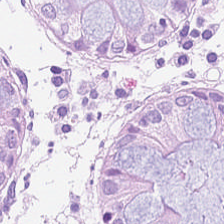Hematoxylin-and-eosin stained section.
Tissue — non-neoplastic colon mucosa.
